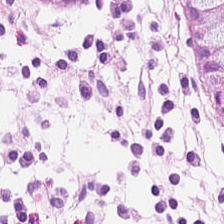The tissue is non-neoplastic colon mucosa.
